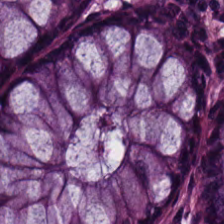224×224 pixel tile; H&E stain.
Benign colonic mucosa.
